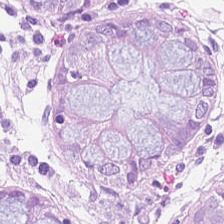Hematoxylin and eosin.
Classification: non-neoplastic colon mucosa.
